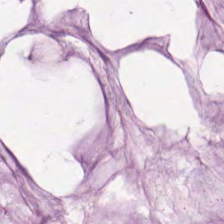0.5 microns per pixel; H&E-stained tissue section; formalin-fixed paraffin-embedded section. Tissue — mucus.
